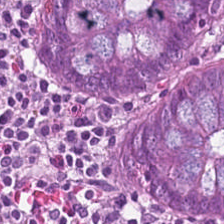H&E-stained tissue section; 20× equivalent magnification; formalin-fixed paraffin-embedded section — Tissue class: non-neoplastic colon mucosa.
